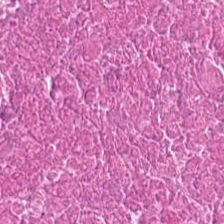H&E-stained tissue section — Finding — cellular debris.
